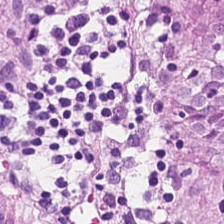224×224 pixel tile. Hematoxylin-and-eosin stained section.
Normal colon mucosa.
